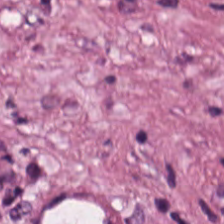20× equivalent magnification; H&E — Histology — tumor-associated stroma.
